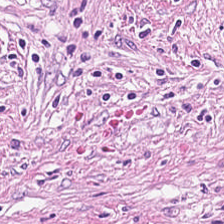H&E-stained section; the field shows tumor stroma.
